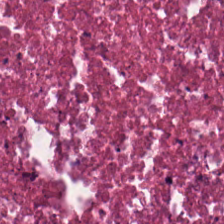H&E — Tissue class = debris.
